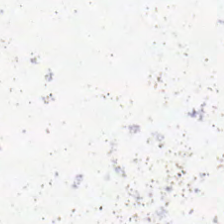FFPE · H&E stain. Q: Classify this patch.
A: This is empty background.
